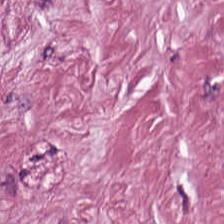H&E-stained tissue section.
Classification: tumor stroma.
